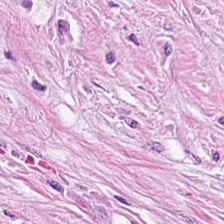Hematoxylin and eosin · brightfield microscopy. Predominant tissue = cancer-associated stroma.
